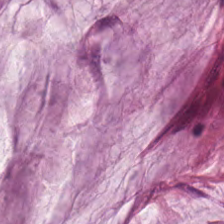H&E stain · FFPE. Predominantly mucin.
